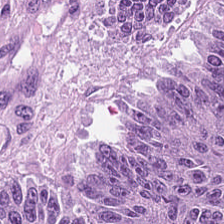Impression → colorectal adenocarcinoma epithelium.
